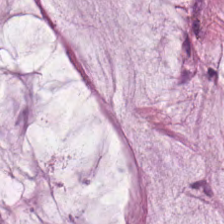H&E stain; formalin-fixed paraffin-embedded section; 224×224 px patch.
Classification — extracellular mucin.
